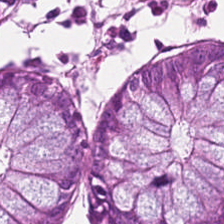Whole-slide-image patch; H&E.
Classification — normal colon mucosa.
